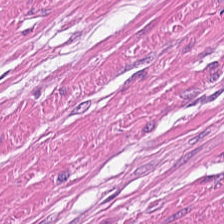H&E stain — Showing smooth-muscle tissue.
